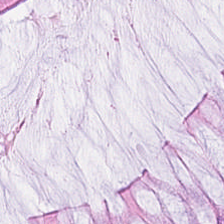Hematoxylin-and-eosin section: benign colonic mucosa.
